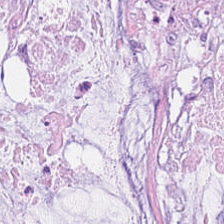Predominant tissue = mucin.
